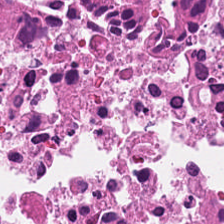{"tissue_type": "cellular debris"}
